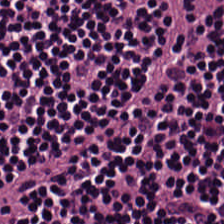224×224 px tile · H&E.
{"tissue_type": "lymphocyte aggregate"}
